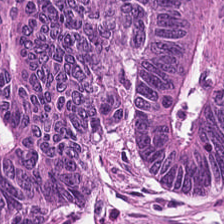H&E-stained section; the field shows adenocarcinoma.
